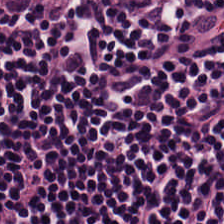H&E. Q: What is shown here?
A: It is lymphocytic infiltrate.
